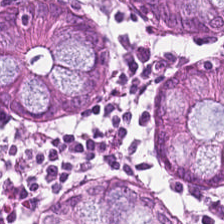Predominantly normal colon mucosa.
